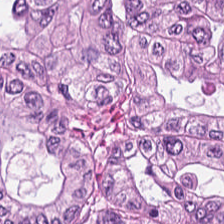Tissue = colorectal adenocarcinoma.
